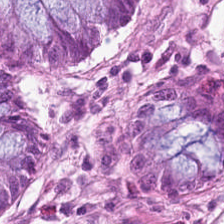H&E-stained tissue section showing normal colonic mucosa.
